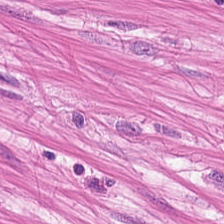This field is muscularis.
